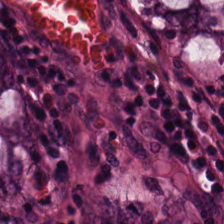Stain: hematoxylin-and-eosin stained section.
Tissue type: benign colonic mucosa.
